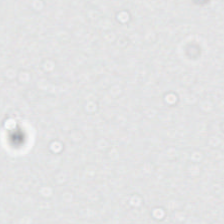Hematoxylin-and-eosin stained section. Impression — background.
